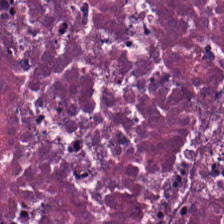Hematoxylin-and-eosin stained section — Q: What tissue is shown?
A: This is debris.
